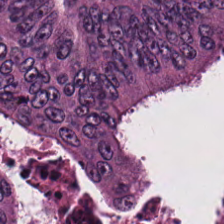Stain: H&E stain.
Tissue class: tumor epithelium.
